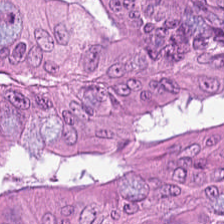H&E-stained tissue section.
The tissue here is tumor epithelium.
